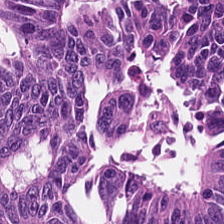Hematoxylin-and-eosin stained section — Colorectal adenocarcinoma.
